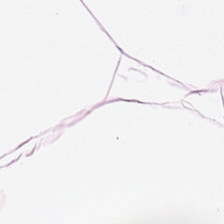WSI patch · H&E-stained tissue section — Adipose.
